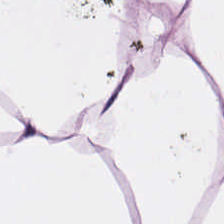Q: What is shown here?
A: It is adipose tissue.
